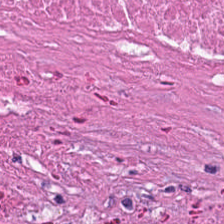Classification: cellular debris.
